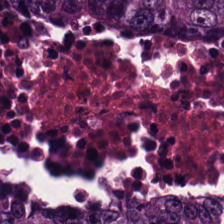Hematoxylin-and-eosin stained section; 224×224 px patch — This patch shows tumor epithelium.
